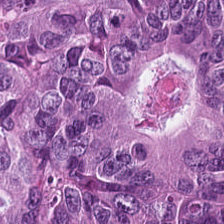Q: What is the predominant tissue type?
A: This is colorectal adenocarcinoma epithelium.
